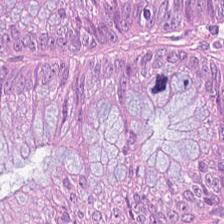H&E — This field is colorectal adenocarcinoma.
